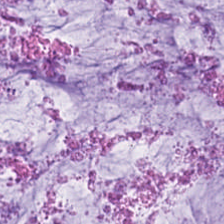The tissue here is mucin.
